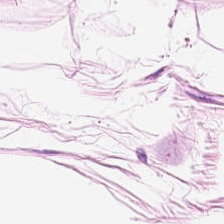Predominantly adipose tissue.
